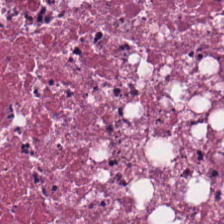224×224 pixel tile. H&E-stained tissue section — This patch shows necrotic debris.
